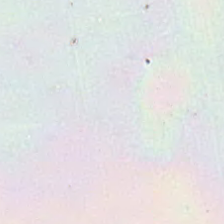224×224 px patch; H&E — This field is background (no tissue).
